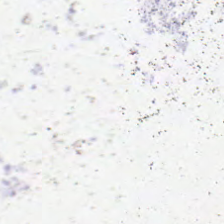Hematoxylin and eosin.
Background — no tissue in this field.
